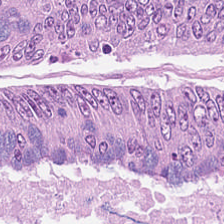224×224 px tile · H&E.
Impression — colorectal adenocarcinoma epithelium.
